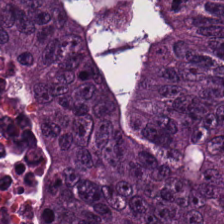Hematoxylin and eosin. The tissue here is malignant epithelium.
